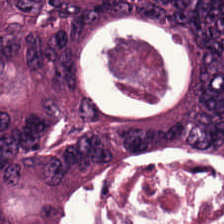Stain: H&E.
Tissue: malignant epithelium.
